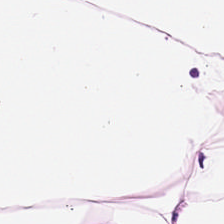H&E stain. Brightfield microscopy.
The tissue here is adipose.
